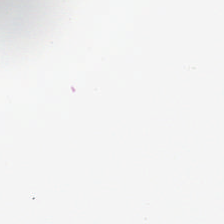Formalin-fixed paraffin-embedded section · hematoxylin-and-eosin stained section — Background — no tissue in this field.
